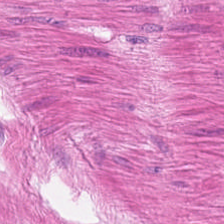Stain: hematoxylin-and-eosin stained section.
Classification: smooth muscle.
